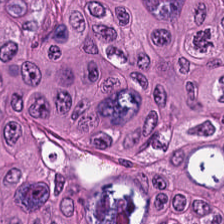H&E-stained section; the field shows colorectal adenocarcinoma epithelium.
